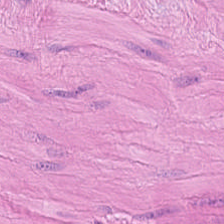{"tissue_type": "muscularis"}
